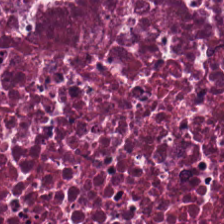0.5 µm per pixel; H&E-stained tissue section — The tissue class is necrotic debris.
